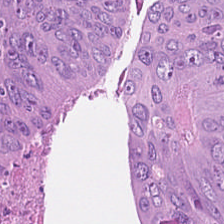Formalin-fixed paraffin-embedded section · H&E. The predominant tissue is colorectal adenocarcinoma.
